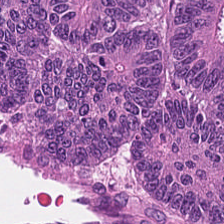The tissue here is colorectal adenocarcinoma.
